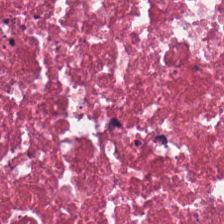This field is debris.
